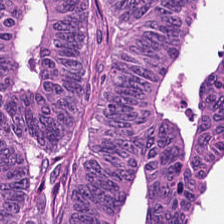Brightfield microscopy. 224×224 px patch. Hematoxylin and eosin.
Adenocarcinoma.
